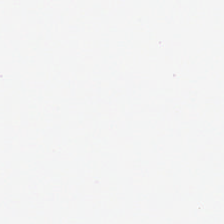The classification is no tissue.
